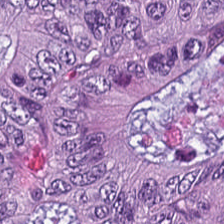Tissue = tumor epithelium.
